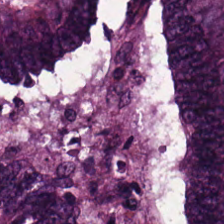224×224 pixel tile · H&E-stained tissue section. The tissue type is colorectal adenocarcinoma epithelium.
